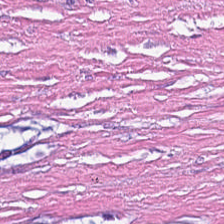224×224 px tile; hematoxylin-and-eosin stained section. Tissue type = desmoplastic stroma.
